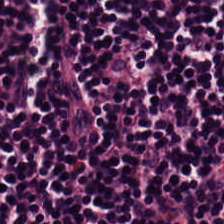This patch shows lymphoid infiltrate.
